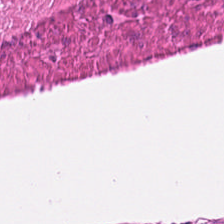Hematoxylin-and-eosin stained section. FFPE tissue section. Tissue type = muscularis.
